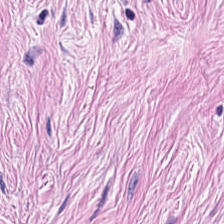H&E. Formalin-fixed paraffin-embedded section. 224×224 pixel tile — Predominant tissue = desmoplastic stroma.
